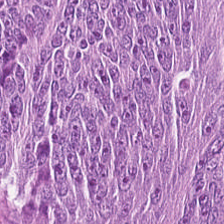Tissue type = tumor epithelium.
